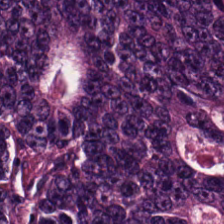The tissue here is colorectal adenocarcinoma epithelium.
